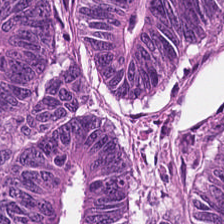Hematoxylin-and-eosin stained section; 224×224 pixel tile.
Tissue type: colorectal adenocarcinoma epithelium.
